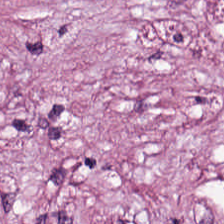Hematoxylin-and-eosin stained section.
Predominant tissue: desmoplastic stroma.
